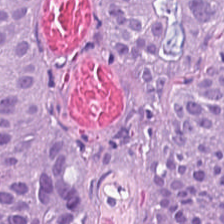Hematoxylin-and-eosin section: malignant epithelium.
